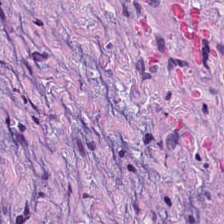H&E-stained tissue section. The classification is tumor stroma.
